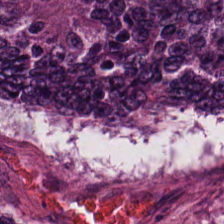{"tissue_type": "adenocarcinoma"}
